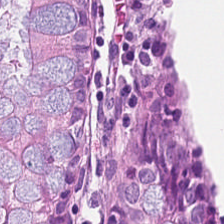Hematoxylin-and-eosin stained section; FFPE; 0.5 µm per pixel — Q: What type of tissue is this?
A: Normal colon mucosa.
